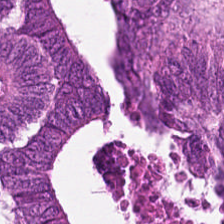Stain: H&E.
Tile size: 224×224 px patch.
Tissue class: colorectal adenocarcinoma.
